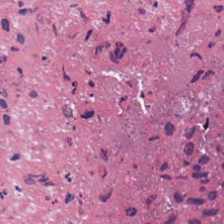Hematoxylin and eosin. Classification — cellular debris.
